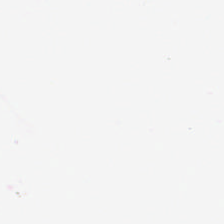H&E. Background — no tissue in this field.
